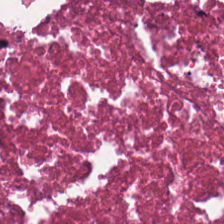H&E.
Q: What type of tissue is this?
A: It is necrotic debris.
